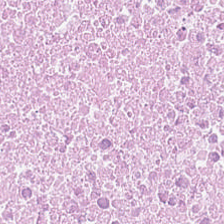Tissue type — necrotic debris.
